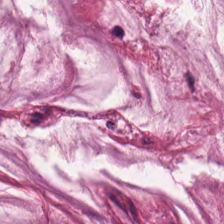Stain: H&E.
Tissue type: extracellular mucin.
